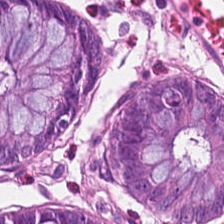Stain: H&E.
Preparation: FFPE.
Tissue type: normal colon mucosa.
